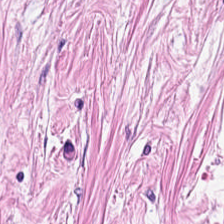H&E-stained tissue section. {"tissue_type": "cancer-associated stroma"}
